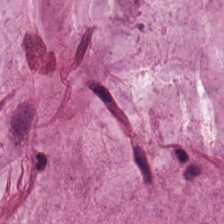224×224 pixel tile. Hematoxylin and eosin. Q: What is the predominant tissue type?
A: Mucus.
